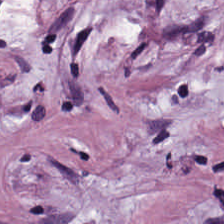H&E stain. Formalin-fixed paraffin-embedded section. Tissue type: desmoplastic stroma.
